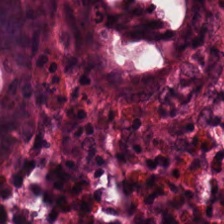Hematoxylin and eosin · FFPE — This patch shows non-neoplastic colon mucosa.
